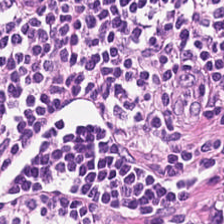Brightfield microscopy; hematoxylin-and-eosin stained section — Q: What tissue is shown?
A: It is lymphocytes.
